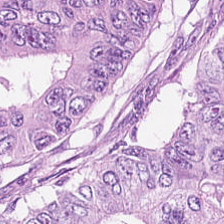The tissue here is colorectal adenocarcinoma epithelium.
